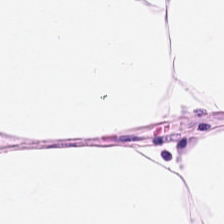Stain: H&E stain.
Preparation: formalin-fixed paraffin-embedded section.
Classification: adipose.
